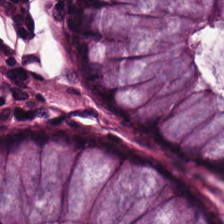H&E stain · 0.5 microns per pixel · WSI patch — Classification: normal colon mucosa.
